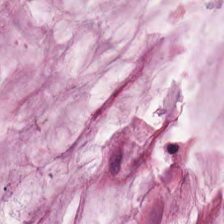Tissue — mucin.
